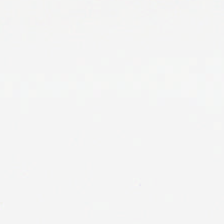224×224 pixel tile; hematoxylin and eosin; brightfield.
No tissue present; background only.
